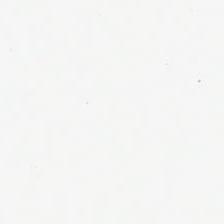Empty field — background.
